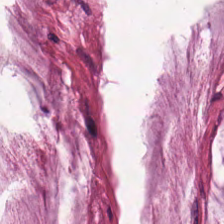H&E stain. Mucus.
